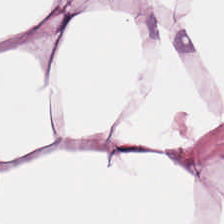0.5 microns per pixel. Hematoxylin and eosin.
Predominantly adipose.
